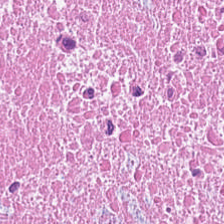Hematoxylin and eosin. FFPE tissue section. The tissue here is necrotic debris.
